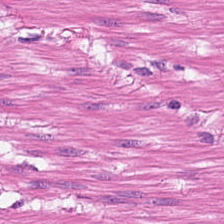Stain: hematoxylin-and-eosin stained section.
Classification: smooth muscle.
